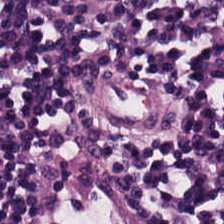Hematoxylin-and-eosin stained section — This field is lymphoid infiltrate.
